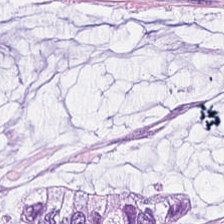Brightfield · H&E stain.
The predominant tissue is mucin.
